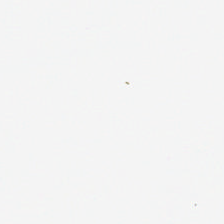Impression — no tissue.
